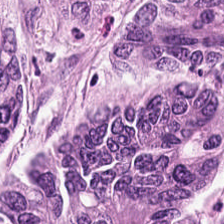Hematoxylin-and-eosin stained section.
Q: What is the predominant tissue type?
A: This is malignant epithelium.
